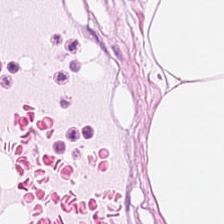H&E-stained tissue section.
Q: What is shown in this field?
A: The field shows fat tissue.
